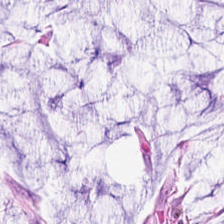Hematoxylin and eosin — This field is mucus.
